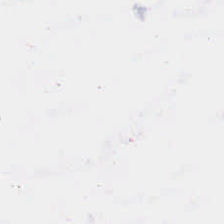H&E-stained tissue section — The field content is background.
